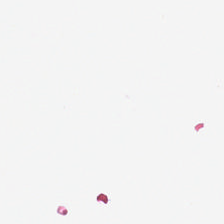Hematoxylin-and-eosin stained section. Whole-slide-image patch — Empty background.
